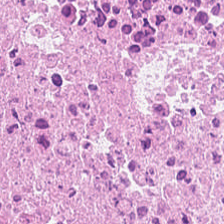Hematoxylin and eosin; brightfield.
Q: What is shown in this field?
A: It is necrotic debris.
